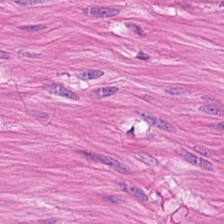Smooth muscle.
